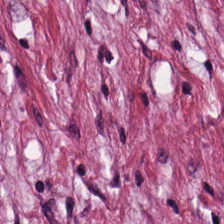H&E stain · 224×224 px tile — Finding → tumor stroma.
